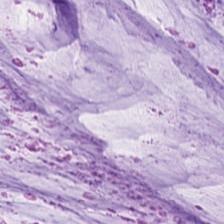Brightfield microscopy. 224×224 px patch. Hematoxylin and eosin — {"tissue_type": "mucus"}
